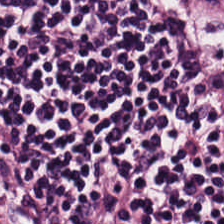H&E-stained tissue section — Tissue type = lymphocytic infiltrate.
